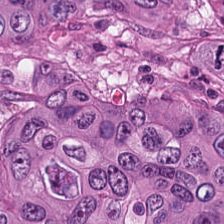Hematoxylin and eosin. Tissue type — colorectal adenocarcinoma.
